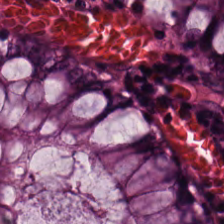Q: What type of tissue is this?
A: Normal colonic mucosa.
